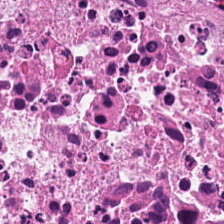Hematoxylin and eosin — Debris.
